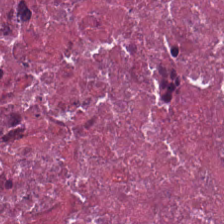The tissue class is necrotic debris.
